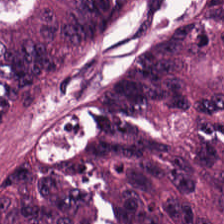H&E — Finding — colorectal adenocarcinoma epithelium.
